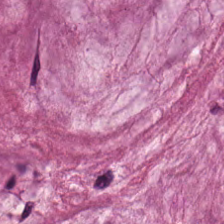0.5 µm/px. H&E. FFPE tissue section. The classification is mucin.
